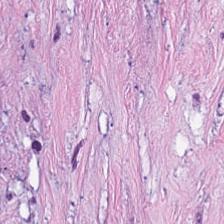Brightfield · 0.5 microns per pixel · hematoxylin and eosin. {"tissue_type": "tumor-associated stroma"}
